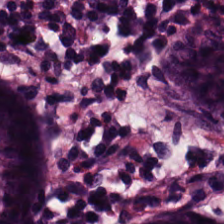H&E — Q: What type of tissue is this?
A: Non-neoplastic colon mucosa.
